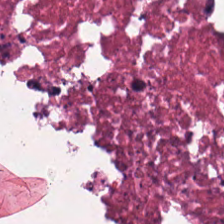H&E stain. Tissue type: cellular debris.
